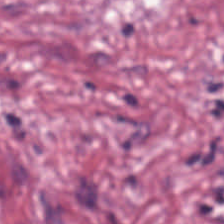The tissue is desmoplastic stroma.
